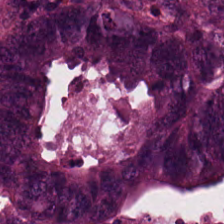H&E-stained tissue section.
{"tissue_type": "tumor epithelium"}
